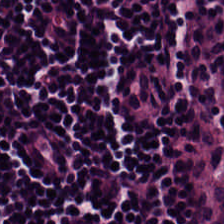Stain: H&E stain.
Tissue: lymphocytic infiltrate.
